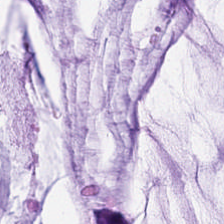Q: Identify the tissue.
A: The field shows mucus.
